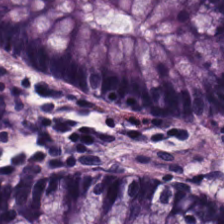H&E-stained tissue section.
Q: What tissue is shown?
A: Normal colonic mucosa.
